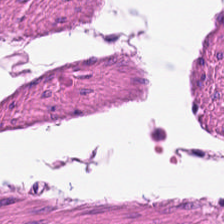H&E stain — Q: What tissue is shown?
A: It is smooth muscle.
